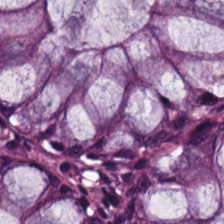H&E. Classification: normal colonic mucosa.
